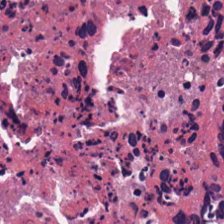H&E-stained tissue section — Q: What is the predominant tissue type?
A: The field shows necrotic debris.
